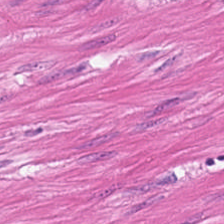Whole-slide-image patch · H&E · 224×224 px patch. Tissue class — muscularis.
